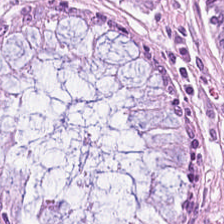Hematoxylin and eosin.
Tissue class: non-neoplastic colon mucosa.
